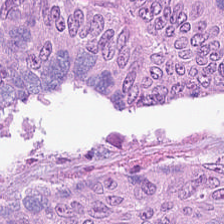224×224 pixel tile. H&E. Tissue class = colorectal adenocarcinoma.
